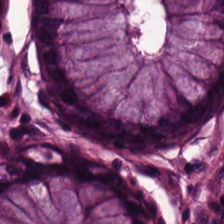H&E. Q: What does this patch show?
A: This is non-neoplastic colon mucosa.
